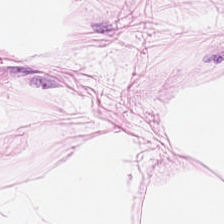Q: What is shown here?
A: It is adipocytes.
